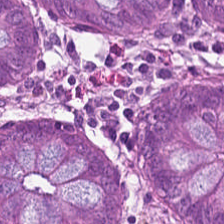Impression — normal colonic mucosa.
